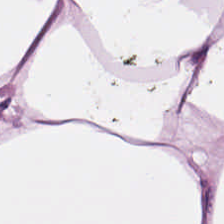Hematoxylin-and-eosin stained section. Q: What type of tissue is this?
A: This is adipose tissue.
